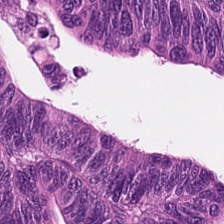H&E-stained tissue section · 20× equivalent magnification.
Q: What is the predominant tissue type?
A: It is adenocarcinoma.
